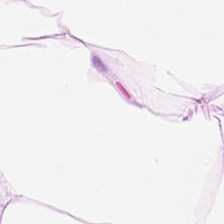Stain: H&E.
Tissue type: adipose.
